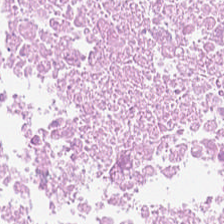H&E.
Predominant tissue — necrotic debris.
